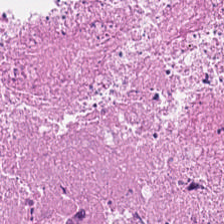This field is necrotic debris.
